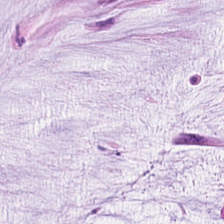H&E.
Histology — extracellular mucin.
